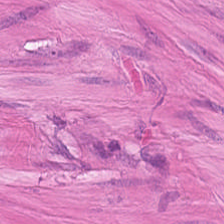Tissue type: smooth muscle.
